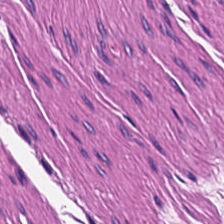Stain: hematoxylin-and-eosin stained section.
Tissue: muscularis.
